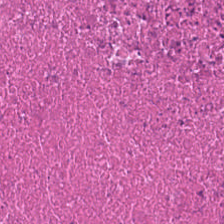Q: What tissue is shown?
A: This is cellular debris.
